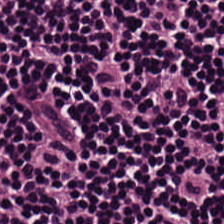Hematoxylin and eosin.
Showing lymphocytes.
